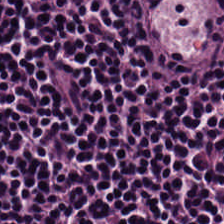H&E-stained tissue section. Predominant tissue = lymphocytic infiltrate.
